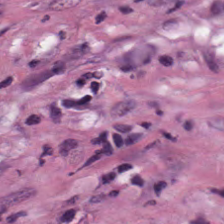FFPE · hematoxylin and eosin.
The predominant tissue is cancer-associated stroma.
